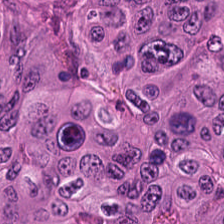H&E stain.
Adenocarcinoma.
